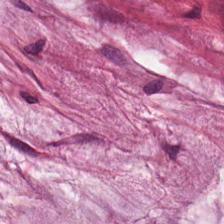Hematoxylin-and-eosin stained section.
Q: What type of tissue is this?
A: The field shows mucin.
